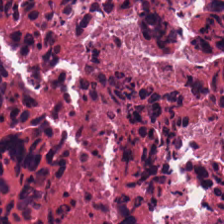224×224 px patch; H&E; WSI patch — Cellular debris.
